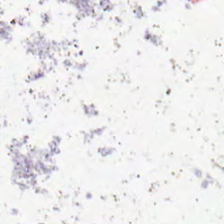Hematoxylin and eosin.
Content = background.
